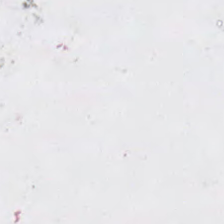H&E.
Background — no tissue in this field.
